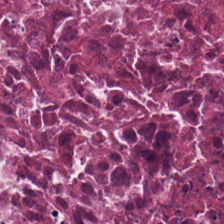H&E-stained tissue section — Q: Classify this patch.
A: It is cellular debris.
